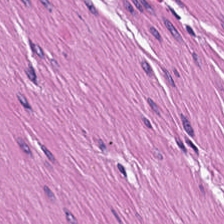Histology — smooth muscle.
